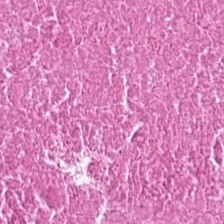Hematoxylin-and-eosin stained section.
Predominantly debris.
